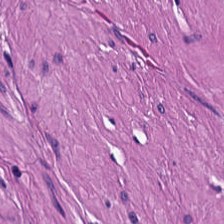{"tissue_type": "smooth muscle"}
